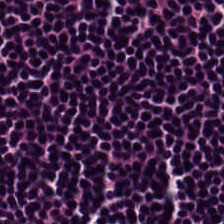Hematoxylin and eosin. 224×224 px tile. Predominantly lymphoid infiltrate.
